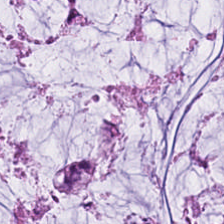H&E.
This field is extracellular mucin.
